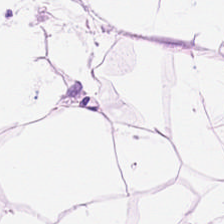{"tissue_type": "fat tissue"}
